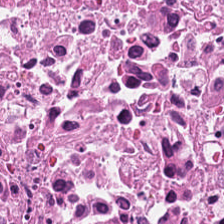H&E-stained tissue section showing cellular debris.
